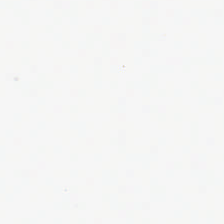H&E-stained tissue section. Empty field — empty background.
